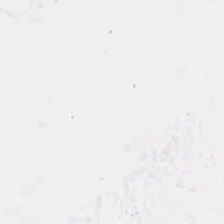Field content — background.
